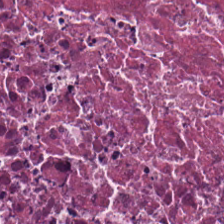Tissue = cellular debris.
